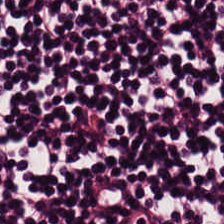FFPE tissue section · brightfield · H&E-stained tissue section.
This patch shows lymphocytic infiltrate.
